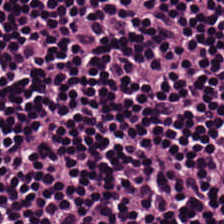H&E-stained tissue section. This patch shows lymphocytes.
